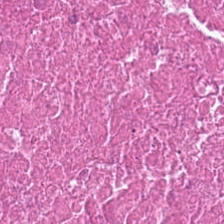Whole-slide-image patch · hematoxylin-and-eosin stained section. Finding → cellular debris.
